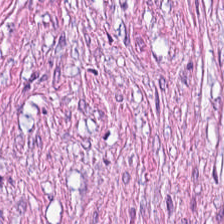Hematoxylin-and-eosin section: desmoplastic stroma.
